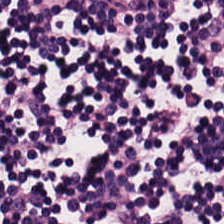H&E stain; WSI patch — Classification — lymphoid infiltrate.
